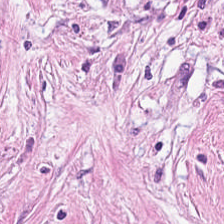Hematoxylin-and-eosin stained section.
Predominantly tumor-associated stroma.
